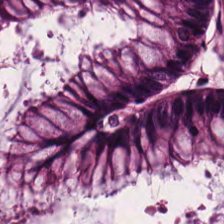FFPE; 0.5 µm per pixel; H&E-stained tissue section.
Predominantly non-neoplastic colon mucosa.
